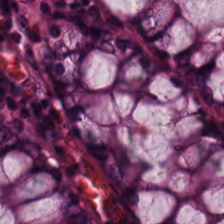H&E.
Classification: normal colonic mucosa.
